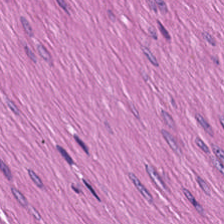0.5 microns per pixel. Brightfield microscopy. H&E-stained tissue section — The tissue type is smooth-muscle tissue.
